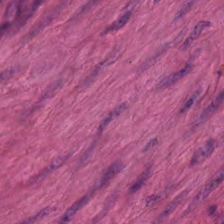Q: What tissue is shown?
A: It is smooth-muscle tissue.
